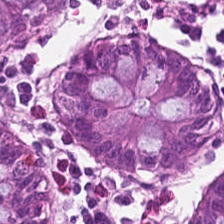224×224 pixel tile. H&E. Normal colonic mucosa.
